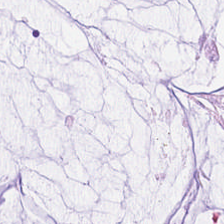224×224 pixel tile. H&E stain.
Q: Identify the tissue.
A: Mucin.
